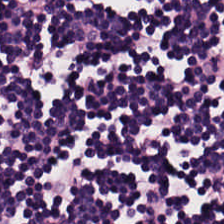FFPE · H&E stain. The tissue here is lymphoid infiltrate.
